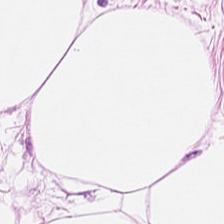H&E-stained tissue section · FFPE tissue section · 224×224 px patch. {"tissue_type": "adipose tissue"}
